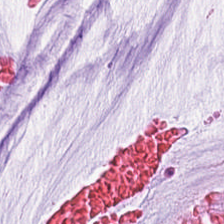H&E-stained tissue section — This patch shows mucus.
